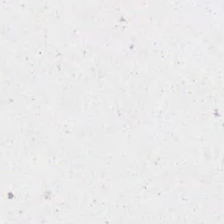Hematoxylin-and-eosin stained section · 20× equivalent magnification. Background — no tissue in this field.
